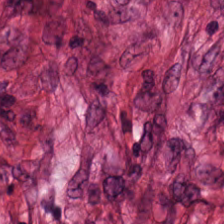H&E — tumor-associated stroma.
